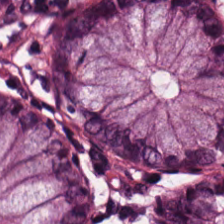H&E stain — {"tissue_type": "benign colonic mucosa"}
